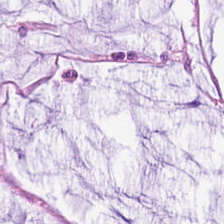Hematoxylin and eosin · 20× equivalent magnification · 224×224 px tile.
Classification: mucus.
